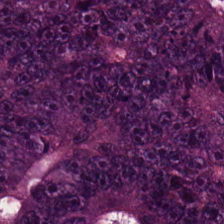H&E.
The predominant tissue is malignant epithelium.
